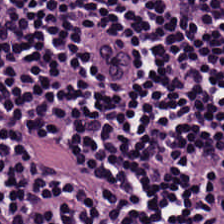FFPE tissue section · H&E — Predominant tissue: lymphocytes.
